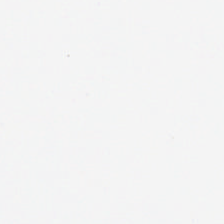H&E stain. This patch shows empty background.
